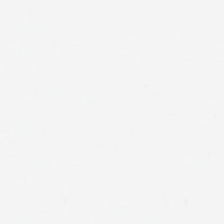H&E stain.
{"content": "empty background"}
